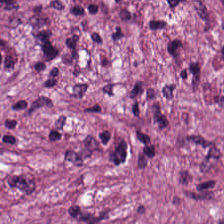Hematoxylin-and-eosin stained section — Q: What does this patch show?
A: The field shows desmoplastic stroma.
